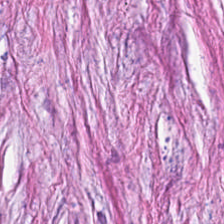H&E.
Tissue type = tumor stroma.
